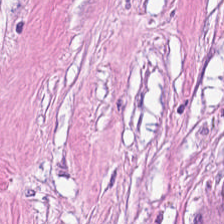H&E stain.
Q: What tissue is shown?
A: Desmoplastic stroma.
